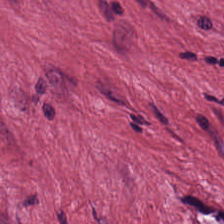The tissue type is tumor stroma.
